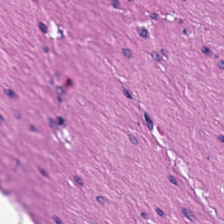Hematoxylin-and-eosin stained section.
The predominant tissue is smooth muscle.
